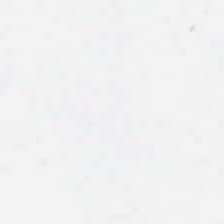H&E-stained tissue section. This field is background (no tissue).
